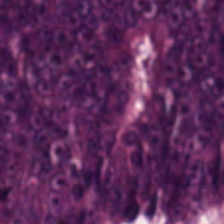H&E-stained tissue section showing colorectal adenocarcinoma.
